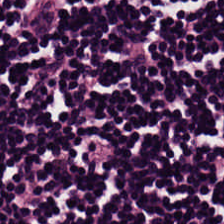H&E-stained tissue section — Classification = lymphocyte aggregate.
